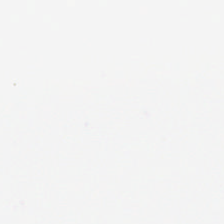H&E stain — {"content": "background"}
